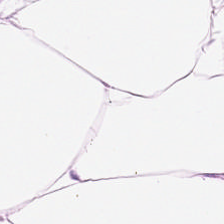224×224 px tile. H&E stain — This field is fat tissue.
